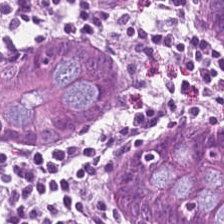FFPE. H&E stain. The predominant tissue is non-neoplastic colon mucosa.
